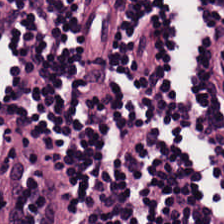H&E stain. FFPE — Classification — lymphocytes.
